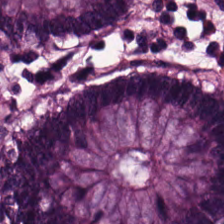The predominant tissue is normal colon mucosa.
